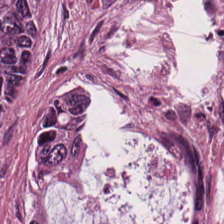Hematoxylin and eosin; brightfield microscopy; 224×224 px tile.
The predominant tissue is colorectal adenocarcinoma.
